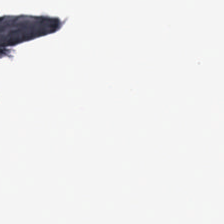FFPE · H&E-stained tissue section. Field content — empty background.
